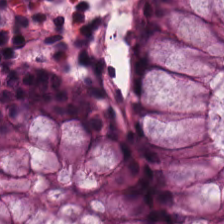Stain: hematoxylin and eosin.
Tissue type: benign colonic mucosa.
